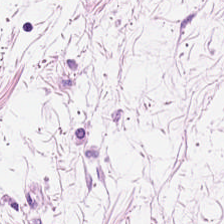224×224 pixel tile. 20× equivalent magnification. H&E. Adipocytes.
